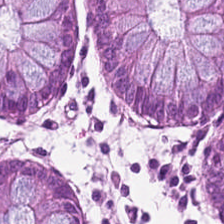Hematoxylin and eosin · 224×224 pixel tile — Q: What does this patch show?
A: It is non-neoplastic colon mucosa.
